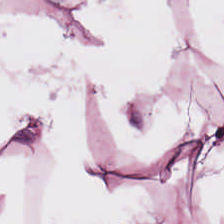H&E-stained section; the field shows adipose tissue.
